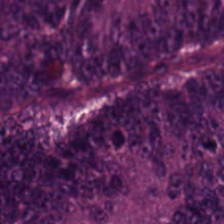Q: Classify this patch.
A: The field shows tumor epithelium.
